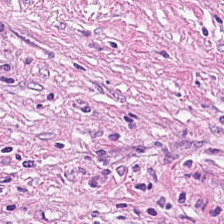Q: What is the predominant tissue type?
A: It is tumor-associated stroma.
